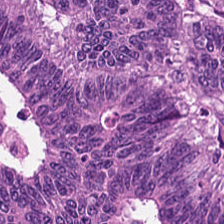Formalin-fixed paraffin-embedded section. H&E-stained tissue section. Adenocarcinoma.
